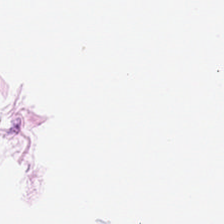{"tissue_type": "fat tissue"}
